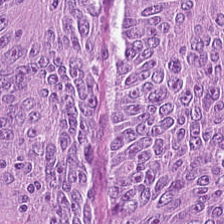FFPE; hematoxylin-and-eosin stained section.
Predominant tissue — colorectal adenocarcinoma epithelium.
